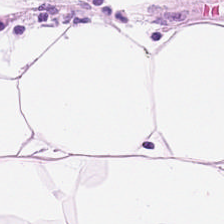Hematoxylin-and-eosin stained section · formalin-fixed paraffin-embedded section.
Tissue — adipose tissue.
